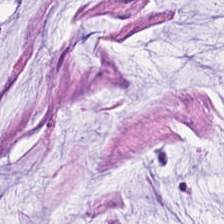H&E-stained tissue section. Brightfield microscopy.
Histology — mucus.
